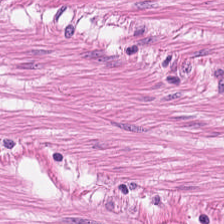20× equivalent magnification. Hematoxylin and eosin. Q: What tissue is shown?
A: It is smooth-muscle tissue.
